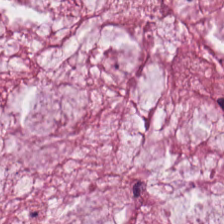224×224 px patch; H&E stain. Classification: extracellular mucin.
